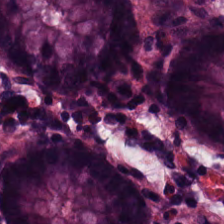H&E-stained tissue section.
{"tissue_type": "normal colon mucosa"}
